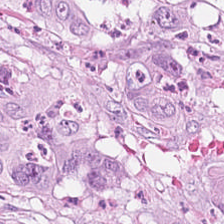H&E. Tissue type — colorectal adenocarcinoma epithelium.
